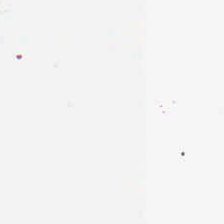Brightfield microscopy. H&E stain. 224×224 px tile — {"content": "empty background"}
